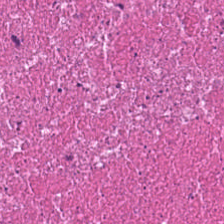Formalin-fixed paraffin-embedded section · brightfield microscopy · H&E. The tissue class is cellular debris.
